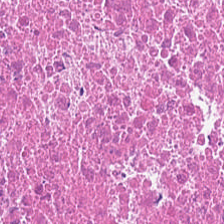H&E stain. Brightfield. Tissue type: necrotic debris.
